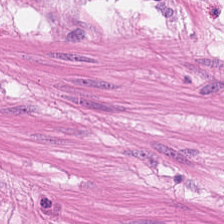Stain: H&E.
Preparation: FFPE tissue section.
Tissue: smooth-muscle tissue.
